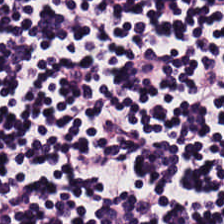H&E-stained tissue section showing lymphocytes.
